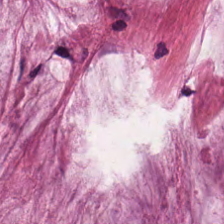H&E patch showing mucin.
